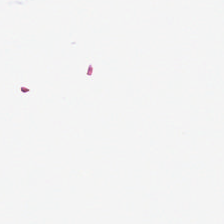Hematoxylin-and-eosin stained section.
Q: What is shown in this field?
A: It is empty background.
